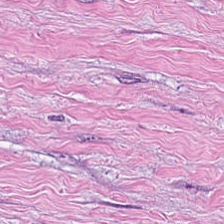H&E · 224×224 pixel tile — Predominant tissue = cancer-associated stroma.
